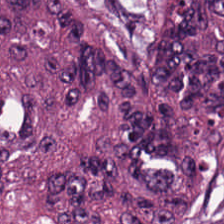Hematoxylin and eosin — {"tissue_type": "colorectal adenocarcinoma"}
